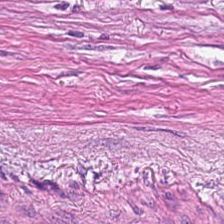Hematoxylin and eosin.
{"tissue_type": "cancer-associated stroma"}
